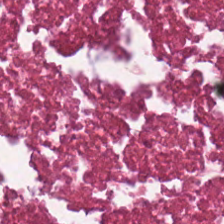H&E — Showing necrotic debris.
